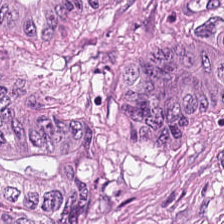Adenocarcinoma.
